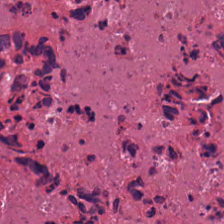Formalin-fixed paraffin-embedded section; H&E — Showing necrotic debris.
